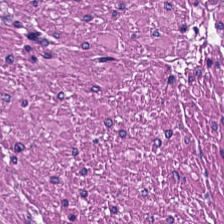Stain: H&E stain.
Classification: smooth-muscle tissue.
